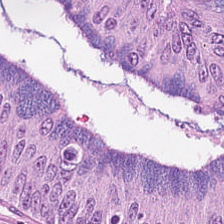H&E · brightfield · 224×224 pixel tile. Colorectal adenocarcinoma epithelium.
